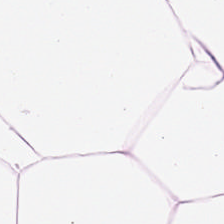Brightfield microscopy; hematoxylin-and-eosin stained section — Tissue type = adipocytes.
